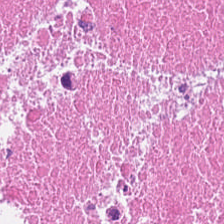H&E.
Debris.
